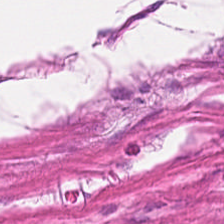Hematoxylin and eosin. WSI patch.
Tissue: muscularis.
